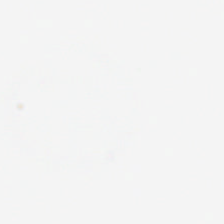Hematoxylin-and-eosin stained section — Background — no tissue in this field.
